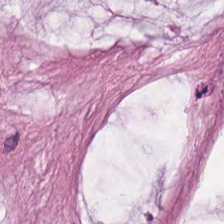224×224 px patch. H&E-stained tissue section. FFPE.
Tissue = extracellular mucin.
